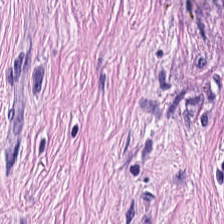Hematoxylin and eosin — The predominant tissue is tumor stroma.
